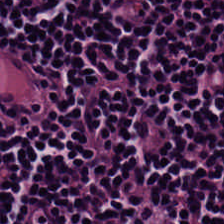Stain: hematoxylin and eosin.
Preparation: FFPE.
Tissue class: lymphocytes.
